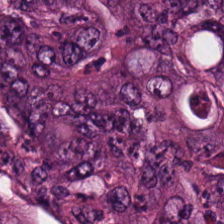Brightfield microscopy · 0.5 µm/px · H&E.
The predominant tissue is adenocarcinoma.
